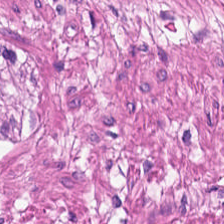H&E — Showing smooth muscle.
